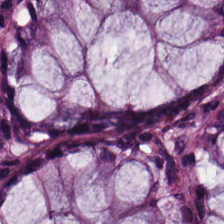Q: What tissue type is shown here?
A: This is non-neoplastic colon mucosa.
